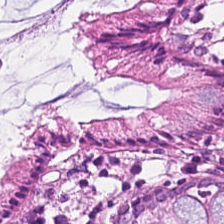Hematoxylin-and-eosin stained section · WSI patch. Q: What is shown in this field?
A: This is non-neoplastic colon mucosa.
